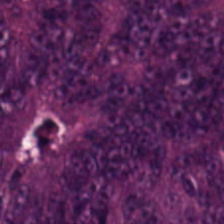224×224 px patch. Hematoxylin-and-eosin stained section — Showing adenocarcinoma.
